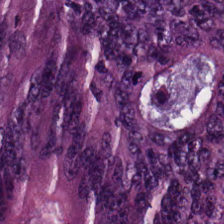H&E stain.
This patch shows malignant epithelium.
